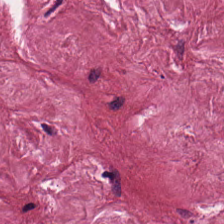Stain: H&E.
Predominant tissue: tumor-associated stroma.
